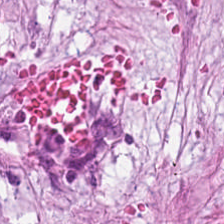Hematoxylin and eosin. {"tissue_type": "desmoplastic stroma"}
